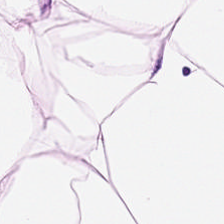Tissue = adipose tissue.
